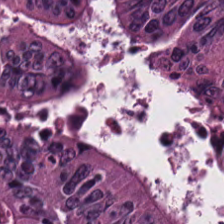Hematoxylin-and-eosin stained section — Finding — colorectal adenocarcinoma epithelium.
